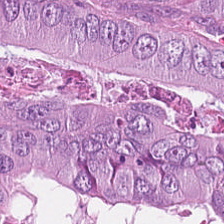Tissue: colorectal adenocarcinoma.
